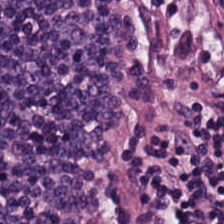H&E stain. The predominant tissue is lymphocyte aggregate.
